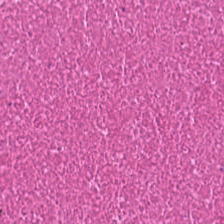Brightfield microscopy. Hematoxylin and eosin — Showing cellular debris.
